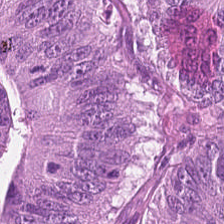FFPE tissue section. 0.5 µm per pixel. Hematoxylin-and-eosin stained section.
Q: Classify this patch.
A: The field shows malignant epithelium.
